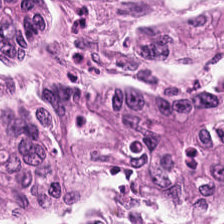H&E-stained tissue section; formalin-fixed paraffin-embedded section; 224×224 pixel tile — Tissue type: adenocarcinoma.
